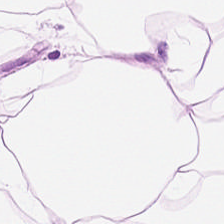Stain: H&E-stained tissue section.
Tile size: 224×224 px patch.
Resolution: 0.5 µm per pixel.
Tissue: adipocytes.
